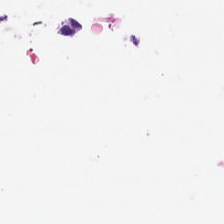Hematoxylin-and-eosin stained section · 224×224 px tile · whole-slide-image patch. The classification is background (no tissue).
